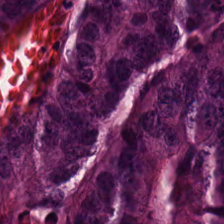Brightfield microscopy. Hematoxylin and eosin. 0.5 µm/px.
Colorectal adenocarcinoma epithelium.
